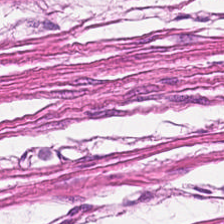H&E. Impression → muscularis.
